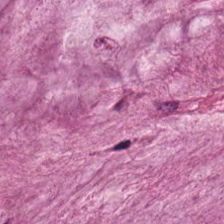0.5 µm per pixel; H&E stain. This patch shows mucus.
